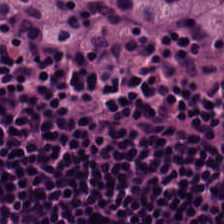Hematoxylin-and-eosin stained section — Tissue type: lymphocyte aggregate.
